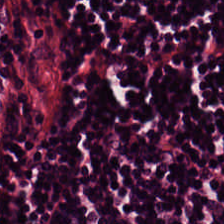Q: What does this patch show?
A: The field shows lymphocytic infiltrate.
